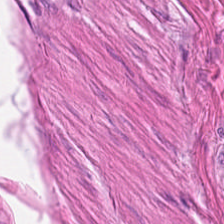Showing smooth-muscle tissue.
